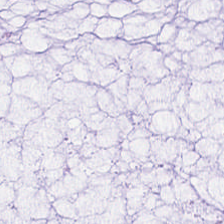H&E. Brightfield. 0.5 µm/px. Q: Identify the tissue.
A: This is mucus.
